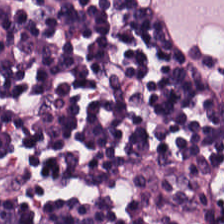H&E. 0.5 µm per pixel — Q: What is shown here?
A: The field shows lymphocytic infiltrate.
